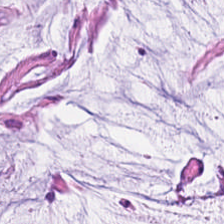This field is mucin.
